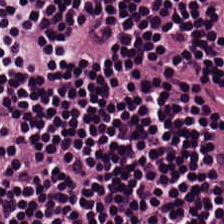H&E.
Finding → lymphocytes.
